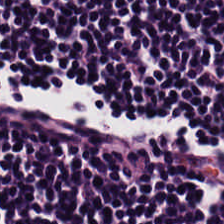Tissue type = lymphocytic infiltrate.
